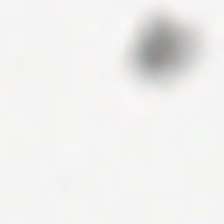Stain: hematoxylin-and-eosin stained section.
Preparation: formalin-fixed paraffin-embedded section.
Acquisition: brightfield microscopy.
Field content: empty background.
